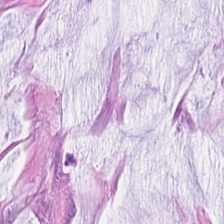Classification: mucin.
